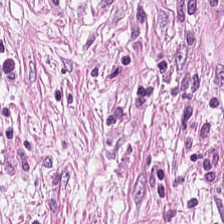H&E — {"tissue_type": "tumor-associated stroma"}
